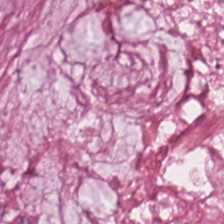The classification is mucus.
